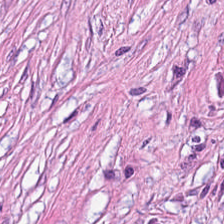FFPE · hematoxylin-and-eosin stained section · 224×224 px tile. Tumor stroma.
